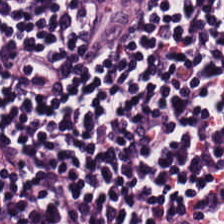Predominant tissue = lymphoid infiltrate.
